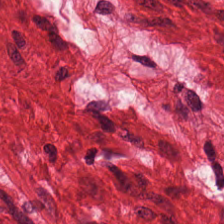Hematoxylin-and-eosin stained section.
The tissue is muscularis.
